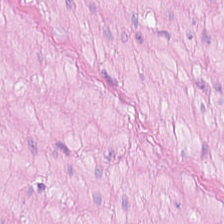Hematoxylin and eosin; formalin-fixed paraffin-embedded section — The predominant tissue is muscularis.
